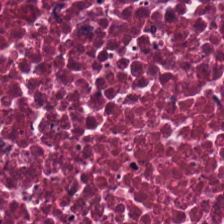H&E stain.
The tissue here is necrotic debris.
